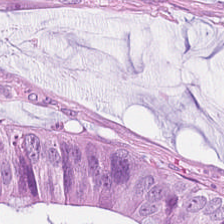H&E. The tissue is tumor epithelium.
